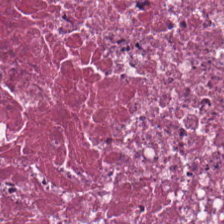Whole-slide-image patch. H&E-stained tissue section.
Q: What is the predominant tissue type?
A: The field shows cellular debris.
